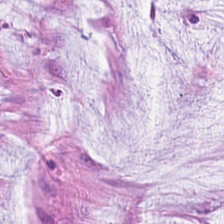Q: What tissue is shown?
A: Mucus.
